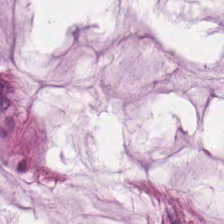Q: What is shown here?
A: The field shows mucin.
